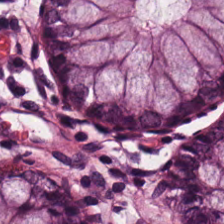H&E-stained tissue section — Histology → benign colonic mucosa.
